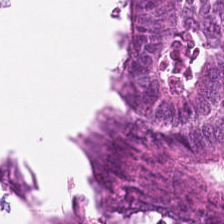H&E stain. 224×224 px patch. Q: What does this patch show?
A: The field shows adenocarcinoma.
